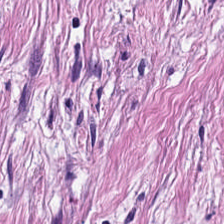H&E stain — Q: What is the predominant tissue type?
A: This is tumor-associated stroma.
